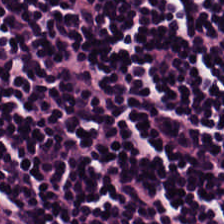Q: What tissue type is shown here?
A: This is lymphoid infiltrate.
